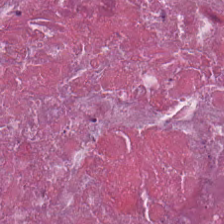224×224 px patch · H&E-stained tissue section — Histology — cellular debris.
